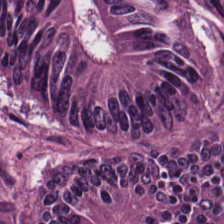H&E · FFPE tissue section · 224×224 px tile — Tissue = tumor epithelium.
